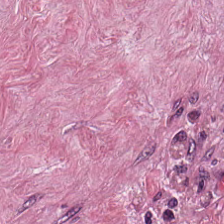FFPE. Hematoxylin-and-eosin stained section. Brightfield — Classification: cancer-associated stroma.
